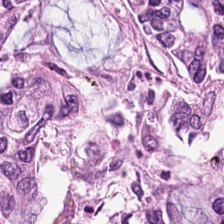Hematoxylin and eosin. 20× equivalent magnification. 224×224 pixel tile — Q: What is shown in this field?
A: Colorectal adenocarcinoma epithelium.
